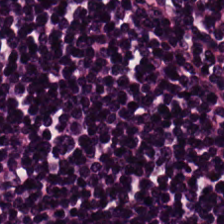{"tissue_type": "lymphoid infiltrate"}
